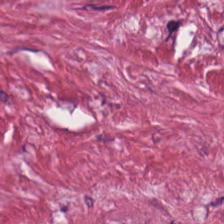H&E stain.
Impression → tumor stroma.
